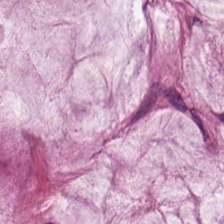H&E. The predominant tissue is mucin.
